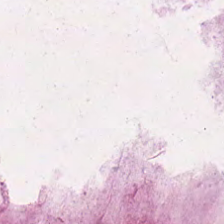Hematoxylin-and-eosin stained section. The tissue class is extracellular mucin.
